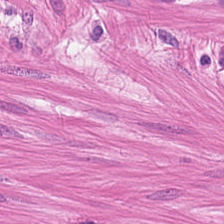Hematoxylin-and-eosin stained section.
This patch shows smooth-muscle tissue.
